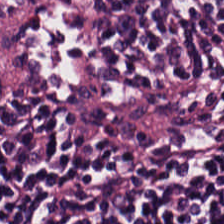Hematoxylin-and-eosin stained section.
The tissue here is lymphoid infiltrate.
